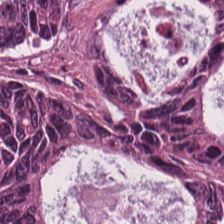H&E-stained tissue section.
This patch shows adenocarcinoma.
